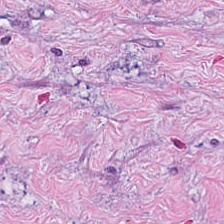Classification — tumor-associated stroma.
